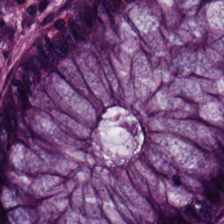H&E-stained tissue section; 224×224 px tile — Q: What tissue type is shown here?
A: This is non-neoplastic colon mucosa.
